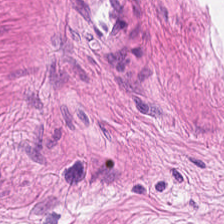Finding — smooth muscle.
